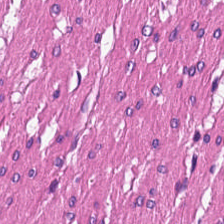H&E stain — Predominantly smooth-muscle tissue.
